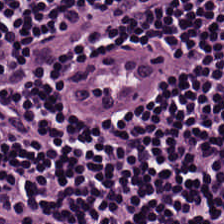Stain: H&E.
Acquisition: whole-slide-image patch.
Preparation: FFPE tissue section.
Predominant tissue: lymphoid infiltrate.
